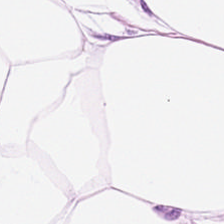H&E-stained tissue section. {"tissue_type": "fat tissue"}
